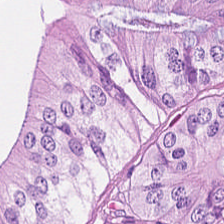Stain: H&E.
Tissue class: colorectal adenocarcinoma.
